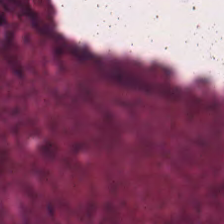{"tissue_type": "debris"}
